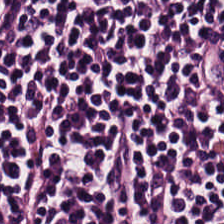H&E.
Tissue type — lymphocyte aggregate.
